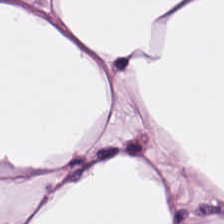Adipose tissue.
